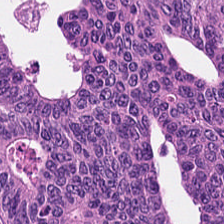Hematoxylin-and-eosin stained section · 224×224 pixel tile — The classification is malignant epithelium.
